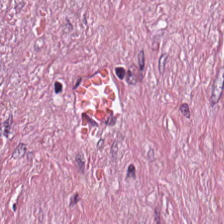H&E stain. The predominant tissue is desmoplastic stroma.
